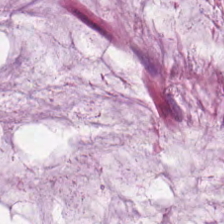H&E — Tissue: mucus.
